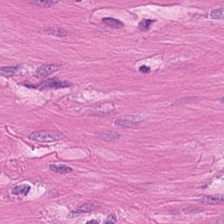H&E stain — Q: What does this patch show?
A: This is smooth muscle.
